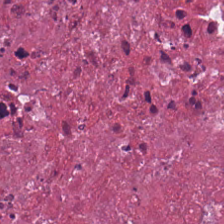20× equivalent magnification · H&E stain — Debris.
